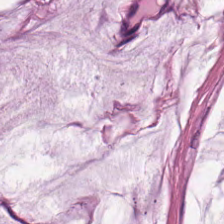This field is mucin.
